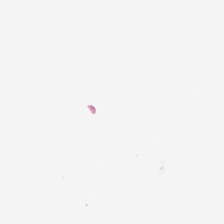Field content — empty background.
